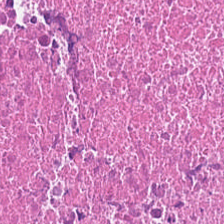Hematoxylin and eosin; 0.5 µm/px.
Classification — debris.
